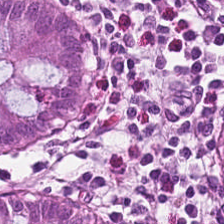H&E stain. FFPE.
Predominant tissue: benign colonic mucosa.
